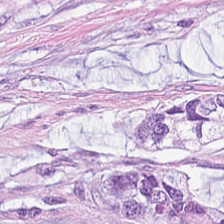224×224 pixel tile; hematoxylin and eosin — The predominant tissue is mucin.
